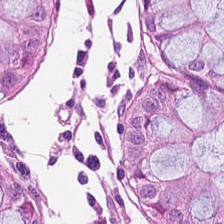Q: What is shown here?
A: It is non-neoplastic colon mucosa.
